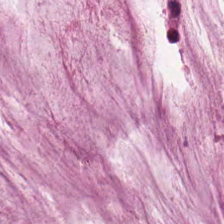This patch shows mucin.
